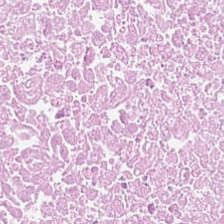Predominant tissue = necrotic debris.
